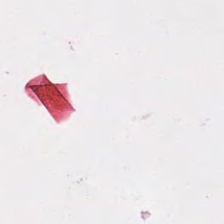This field is background (no tissue).
